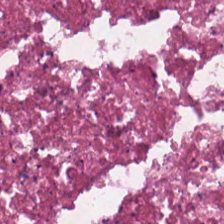H&E-stained tissue section. Classification: cellular debris.
